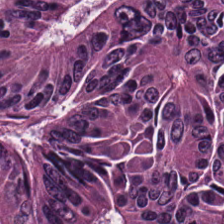Stain: H&E-stained tissue section.
Resolution: 0.5 µm/px.
Tissue: adenocarcinoma.
